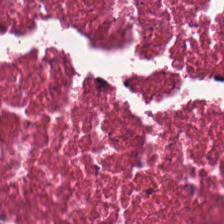H&E — Tissue = debris.
